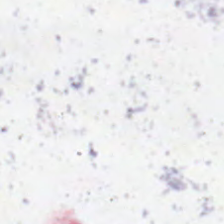{"content": "background (no tissue)"}
